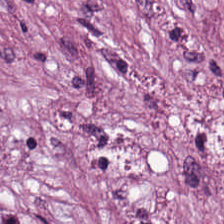H&E stain — Tissue: desmoplastic stroma.
